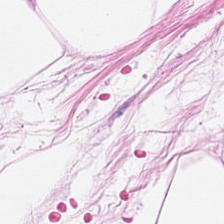Hematoxylin and eosin. 224×224 px patch.
The classification is adipocytes.
